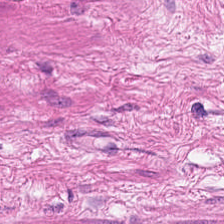Hematoxylin-and-eosin stained section.
Impression — muscularis.
